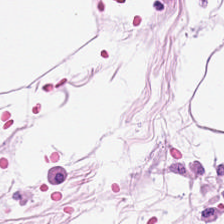H&E stain.
Predominant tissue — adipose tissue.
